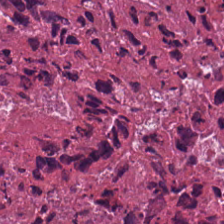Tissue — cellular debris.
